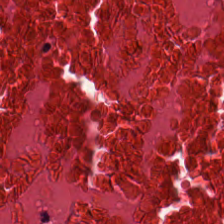0.5 µm per pixel · H&E — Q: What is shown in this field?
A: The field shows necrotic debris.
